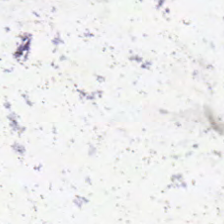Hematoxylin-and-eosin stained section — No tissue.
